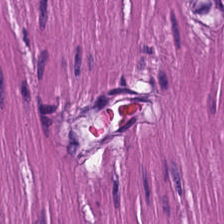Stain: H&E.
Tissue class: smooth muscle.
